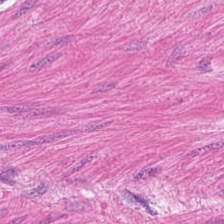H&E · formalin-fixed paraffin-embedded section · 224×224 pixel tile. This field is muscularis.
